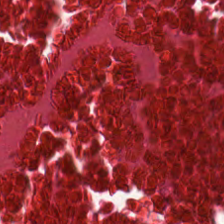Stain: hematoxylin-and-eosin stained section.
Predominant tissue: necrotic debris.
